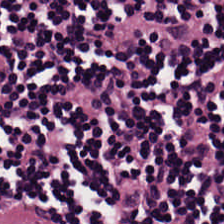H&E stain.
The tissue here is lymphocytes.
